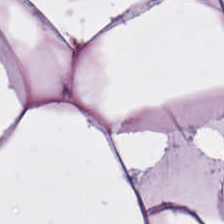{"tissue_type": "adipose"}
